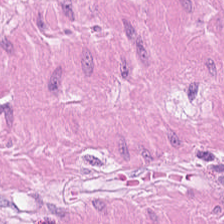Stain: H&E stain.
Acquisition: brightfield microscopy.
Tissue class: smooth muscle.
